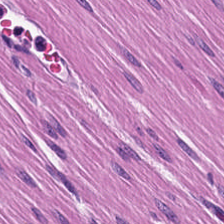H&E; 0.5 µm per pixel; whole-slide-image patch.
This patch shows smooth muscle.
